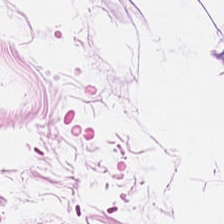Hematoxylin-and-eosin stained section. Formalin-fixed paraffin-embedded section. The predominant tissue is adipose.
